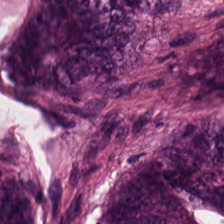Hematoxylin and eosin. Predominantly tumor epithelium.
